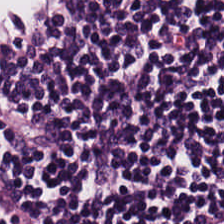224×224 px tile · H&E stain.
Impression → lymphocyte aggregate.
